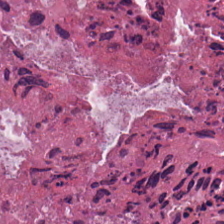224×224 px tile; H&E stain — The tissue here is cellular debris.
